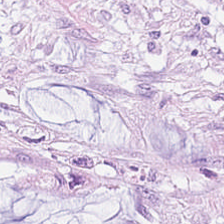FFPE tissue section; hematoxylin and eosin — This patch shows mucus.
